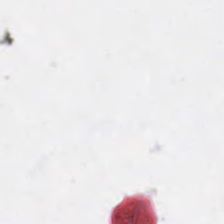Hematoxylin-and-eosin stained section; brightfield — Field content — background.
